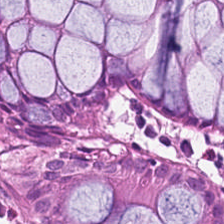Predominantly normal colon mucosa.
